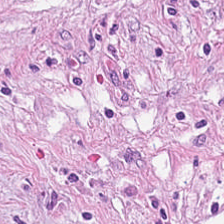Formalin-fixed paraffin-embedded section; hematoxylin and eosin; brightfield microscopy. Classification = tumor-associated stroma.
